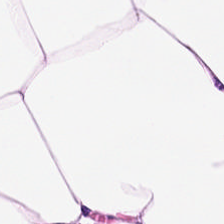Impression → adipocytes.
